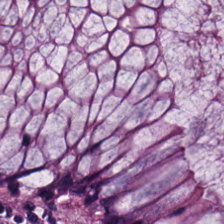H&E-stained tissue section showing normal colon mucosa.
